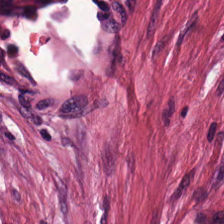H&E — {"tissue_type": "tumor stroma"}
